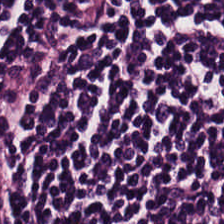FFPE tissue section · hematoxylin and eosin.
The classification is lymphocyte aggregate.
